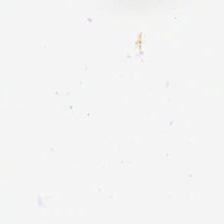Hematoxylin-and-eosin stained section — Background — no tissue in this field.
